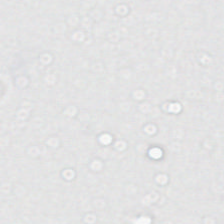The content is no tissue.
